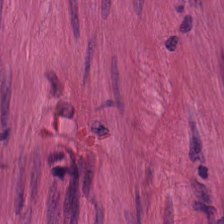Smooth muscle.
